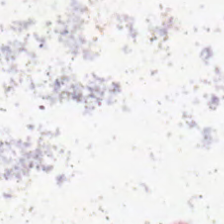Whole-slide-image patch; H&E stain.
Empty field — no tissue.
